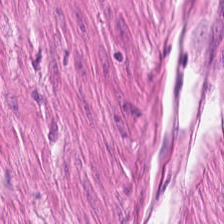Showing smooth-muscle tissue.
